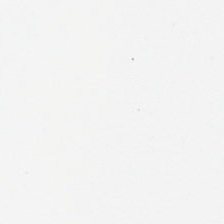224×224 px patch. H&E. The field content is background.
